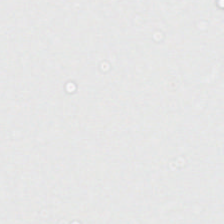0.5 µm per pixel. Hematoxylin and eosin. Field content — no tissue.
